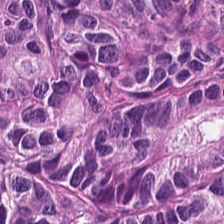Whole-slide-image patch. H&E stain. FFPE tissue section — Finding → adenocarcinoma.
